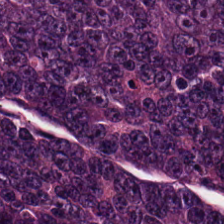0.5 microns per pixel · hematoxylin and eosin · formalin-fixed paraffin-embedded section.
Q: What type of tissue is this?
A: This is malignant epithelium.
